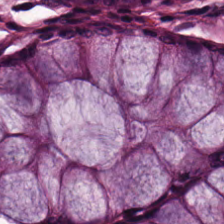H&E. Normal colonic mucosa.
